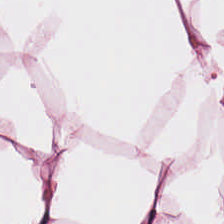Q: What is shown in this field?
A: Adipose.
